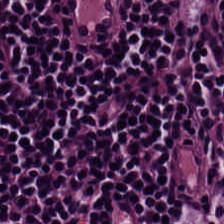Hematoxylin-and-eosin stained section — Showing lymphocytic infiltrate.
